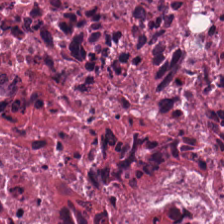Formalin-fixed paraffin-embedded section · hematoxylin-and-eosin stained section — The predominant tissue is debris.
